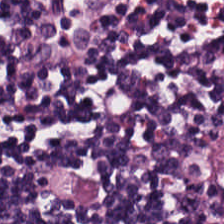H&E stain; 224×224 px patch; 20× equivalent magnification. The predominant tissue is lymphocyte aggregate.
